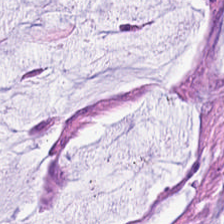Q: What is shown here?
A: This is extracellular mucin.
